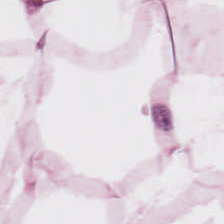Stain: H&E-stained tissue section.
Resolution: 0.5 µm per pixel.
Classification: adipose tissue.
